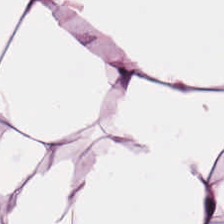H&E; 224×224 px tile.
Finding — fat tissue.
